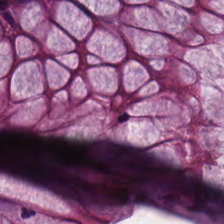H&E. This patch shows normal colonic mucosa.
